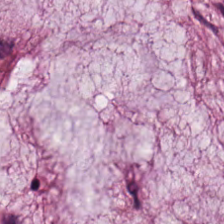Stain: hematoxylin-and-eosin stained section.
Resolution: 20× equivalent magnification.
Classification: extracellular mucin.
